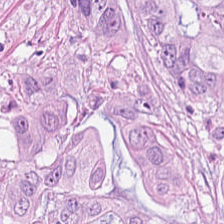The tissue class is colorectal adenocarcinoma.
